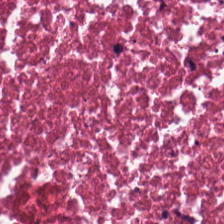The predominant tissue is debris.
